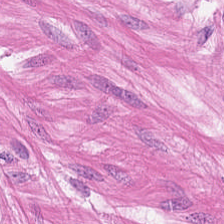H&E-stained tissue section · FFPE tissue section. Q: What is shown here?
A: This is smooth-muscle tissue.
